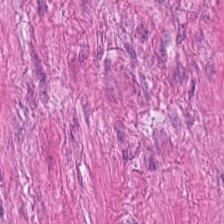The tissue is muscularis.
